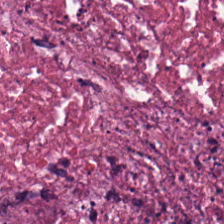Hematoxylin and eosin. Tissue type: necrotic debris.
